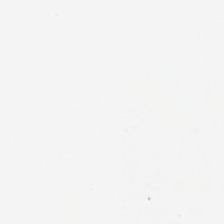Stain: hematoxylin-and-eosin stained section.
Classification: empty background.
